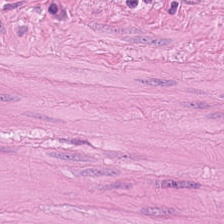0.5 µm/px; H&E stain — This patch shows smooth muscle.
